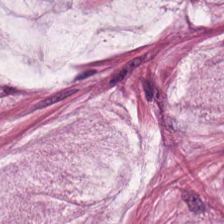{"tissue_type": "mucus"}
